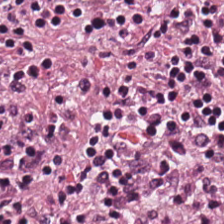224×224 px patch · FFPE tissue section · H&E stain. This field is lymphoid infiltrate.
